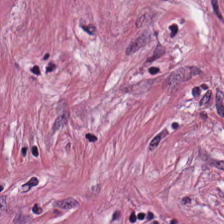This field is tumor-associated stroma.
